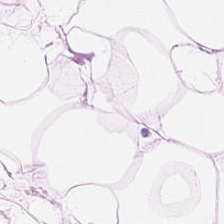H&E-stained tissue section. This patch shows adipose tissue.
